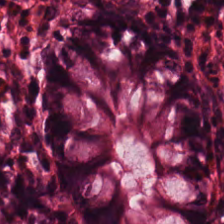H&E.
This field is normal colonic mucosa.
